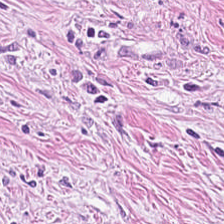20× equivalent magnification; FFPE tissue section; H&E. The tissue type is cancer-associated stroma.
